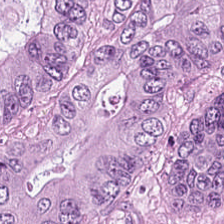Hematoxylin-and-eosin stained section.
{"tissue_type": "tumor epithelium"}
